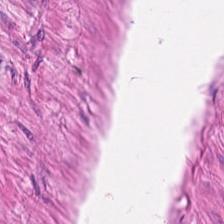Hematoxylin and eosin · 224×224 pixel tile — Q: Identify the tissue.
A: The field shows smooth-muscle tissue.
